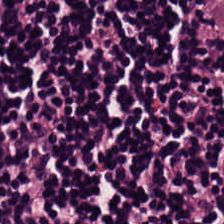Brightfield microscopy · hematoxylin-and-eosin stained section. Tissue — lymphocytic infiltrate.
